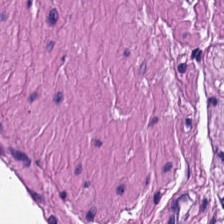Stain: hematoxylin-and-eosin stained section.
Resolution: 0.5 microns per pixel.
Tissue: muscularis.
